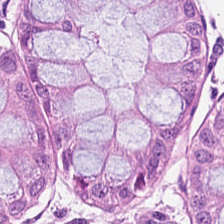H&E; brightfield — Showing benign colonic mucosa.
